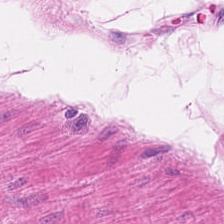Hematoxylin and eosin.
Impression → smooth muscle.
